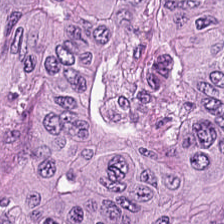H&E-stained tissue section showing colorectal adenocarcinoma.
